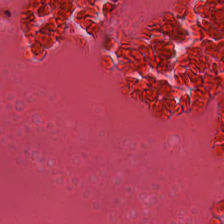H&E. 0.5 microns per pixel. 224×224 px tile. This field is necrotic debris.
